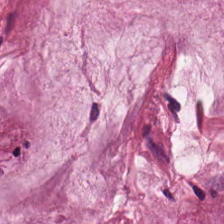224×224 px tile · H&E. The predominant tissue is extracellular mucin.
